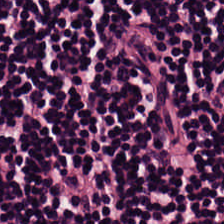Tissue class: lymphocytes.
